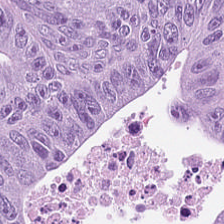The predominant tissue is adenocarcinoma.
